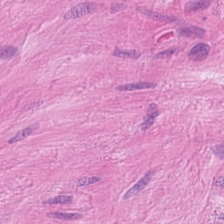H&E.
Predominant tissue — smooth-muscle tissue.
